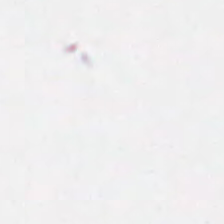Field content — no tissue.
